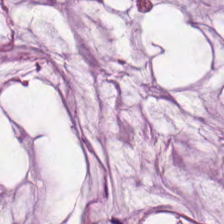H&E-stained tissue section — This patch shows extracellular mucin.
